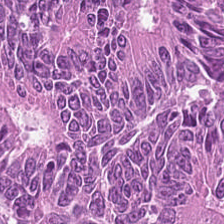Stain: H&E.
Predominant tissue: malignant epithelium.
